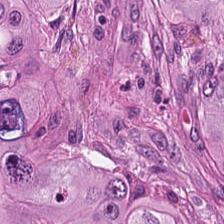Hematoxylin-and-eosin stained section — Q: Classify this patch.
A: This is colorectal adenocarcinoma.
